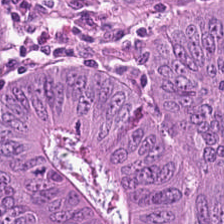The classification is adenocarcinoma.
